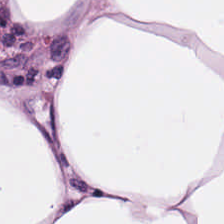Stain: H&E stain.
Preparation: FFPE tissue section.
Classification: adipose tissue.
